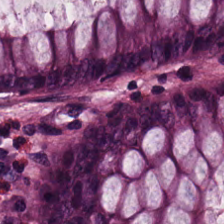H&E stain. 224×224 pixel tile. Formalin-fixed paraffin-embedded section.
Finding → normal colon mucosa.
